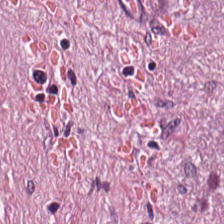224×224 px tile. Brightfield microscopy. H&E-stained tissue section — Impression — desmoplastic stroma.
